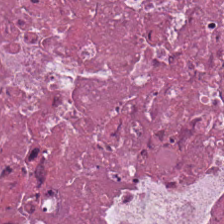{"tissue_type": "necrotic debris"}
